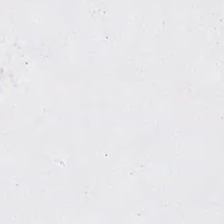Stain: hematoxylin and eosin.
Classification: no tissue.
